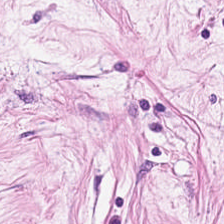Tissue type — tumor stroma.
